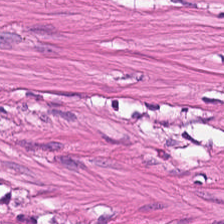Hematoxylin and eosin. The tissue here is smooth muscle.
